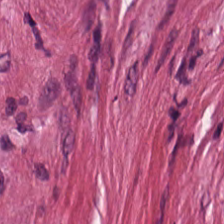Hematoxylin-and-eosin stained section · 224×224 pixel tile.
Predominantly desmoplastic stroma.
